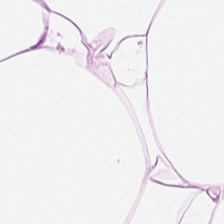Tissue class — adipose.
